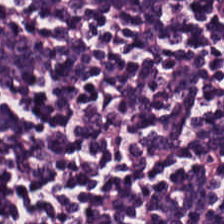WSI patch. Formalin-fixed paraffin-embedded section. Hematoxylin-and-eosin stained section.
Tissue = lymphoid infiltrate.
